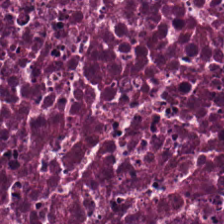Hematoxylin-and-eosin stained section. Finding → debris.
